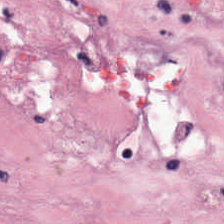FFPE; hematoxylin and eosin.
Tissue type = cancer-associated stroma.
